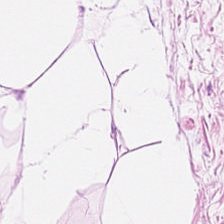This field is adipose.
